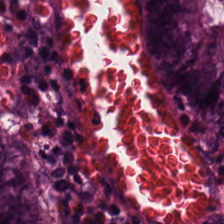{"tissue_type": "normal colonic mucosa"}
